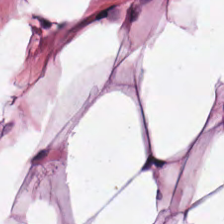Stain: H&E-stained tissue section.
Preparation: FFPE.
Tissue: adipocytes.
